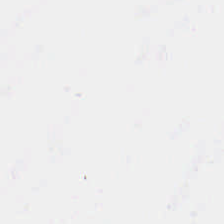H&E. 224×224 px patch. This field is background (no tissue).
